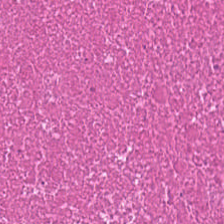Hematoxylin-and-eosin stained section. Tissue: necrotic debris.
